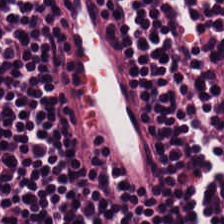H&E — lymphocytes.
